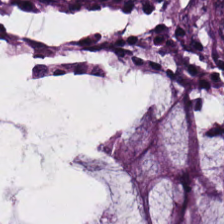Stain: H&E.
Resolution: 0.5 µm/px.
Classification: normal colonic mucosa.
